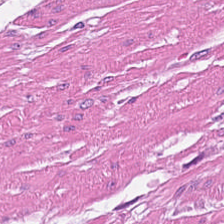H&E. Q: What tissue is shown?
A: It is smooth muscle.
